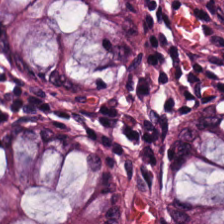Hematoxylin-and-eosin stained section — Non-neoplastic colon mucosa.
